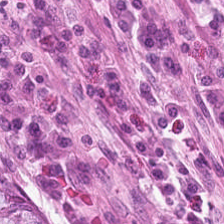0.5 µm/px. FFPE. H&E. Tissue — non-neoplastic colon mucosa.
